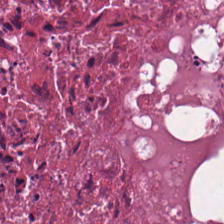Hematoxylin-and-eosin stained section.
Tissue class: debris.
